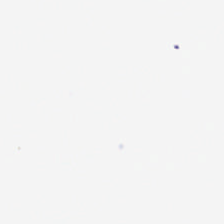Background — no tissue in this field.
